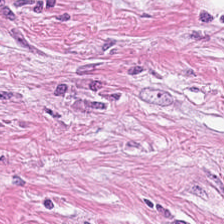H&E stain.
Q: What is shown in this field?
A: The field shows tumor-associated stroma.
